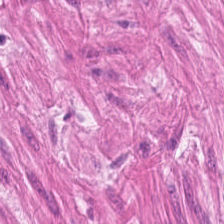H&E. 224×224 pixel tile. 0.5 µm per pixel — This patch shows muscularis.
